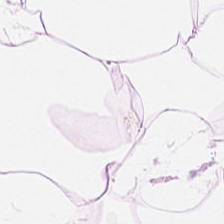20× equivalent magnification. Hematoxylin-and-eosin stained section.
Adipose.
